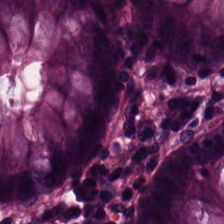Tissue class — benign colonic mucosa.
